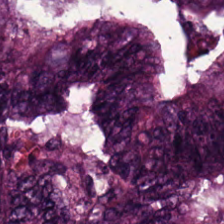Q: What is shown in this field?
A: Tumor epithelium.
